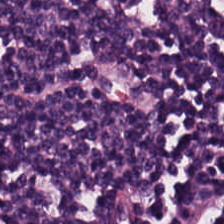Histology — lymphoid infiltrate.
